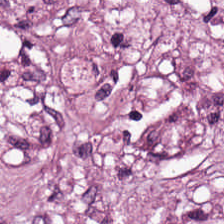0.5 µm/px · hematoxylin-and-eosin stained section.
Q: Classify this patch.
A: Cancer-associated stroma.
